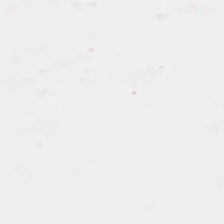H&E. Finding — empty background.
